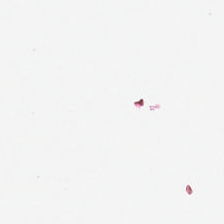H&E-stained tissue section.
No tissue present; background only.
